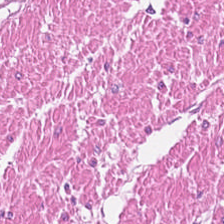FFPE tissue section; H&E-stained tissue section; 0.5 µm/px.
Tissue type = smooth-muscle tissue.
